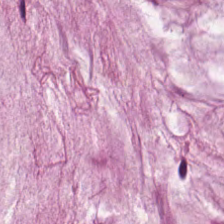H&E.
Predominantly extracellular mucin.
